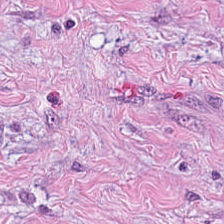0.5 µm/px · H&E stain.
Impression → tumor-associated stroma.
